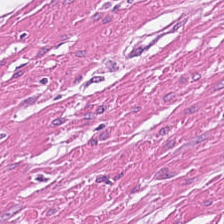Hematoxylin and eosin.
This field is smooth-muscle tissue.
